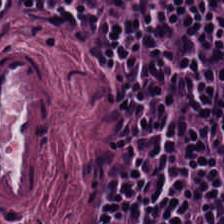Showing lymphocytes.
